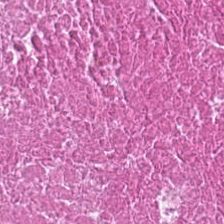0.5 µm/px · hematoxylin and eosin.
Predominant tissue = necrotic debris.
